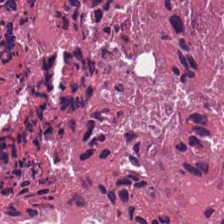Brightfield · 224×224 px tile · hematoxylin and eosin.
Cellular debris.
